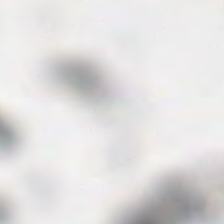Hematoxylin and eosin. Background — no tissue in this field.
